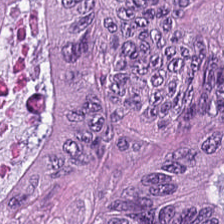Stain: H&E.
Classification: tumor epithelium.
